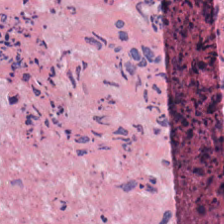Hematoxylin-and-eosin stained section · 224×224 pixel tile.
The classification is cellular debris.
